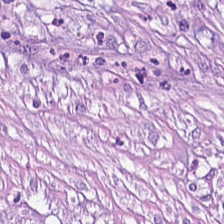Stain: hematoxylin and eosin.
Classification: tumor-associated stroma.
